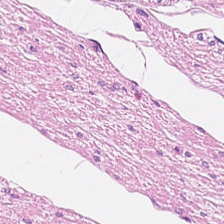224×224 pixel tile; H&E-stained tissue section. The tissue here is muscularis.
